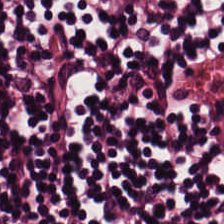Tissue class — lymphocytes.
